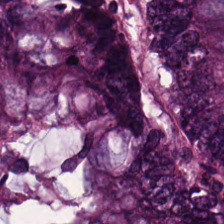Stain: hematoxylin and eosin.
Preparation: FFPE.
Classification: colorectal adenocarcinoma.
